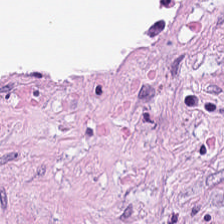Hematoxylin and eosin. 0.5 microns per pixel.
The predominant tissue is tumor-associated stroma.
